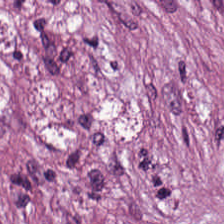H&E-stained tissue section — Q: What is shown in this field?
A: This is cancer-associated stroma.
